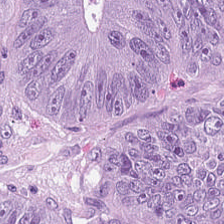Stain: H&E-stained tissue section.
Resolution: 0.5 microns per pixel.
Tissue type: malignant epithelium.
